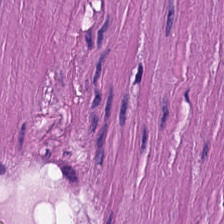224×224 px tile. 0.5 µm per pixel. H&E.
Histology → smooth-muscle tissue.
